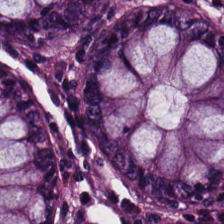Stain: H&E.
Classification: normal colonic mucosa.
